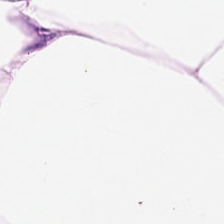Hematoxylin and eosin.
Tissue class = adipose tissue.
